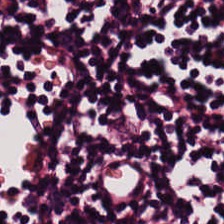This patch shows lymphocytes.
